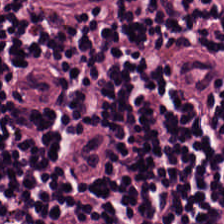Brightfield microscopy · 0.5 µm per pixel · H&E.
Q: What tissue is shown?
A: The field shows lymphocytic infiltrate.
